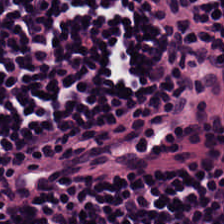FFPE tissue section · brightfield · H&E.
Q: Classify this patch.
A: Lymphocytic infiltrate.
